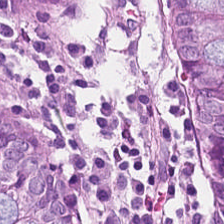H&E-stained tissue section. Benign colonic mucosa.
